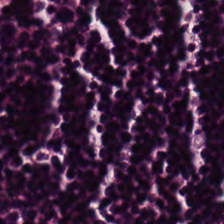H&E stain.
Histology — lymphocyte aggregate.
